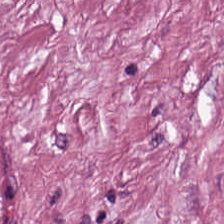H&E.
Q: What type of tissue is this?
A: This is tumor-associated stroma.
